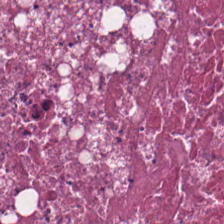H&E — Predominantly necrotic debris.
